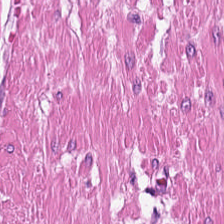H&E stain — Showing muscularis.
